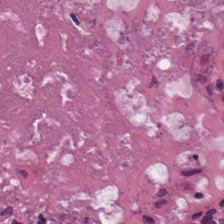FFPE tissue section; hematoxylin and eosin.
Tissue = necrotic debris.
